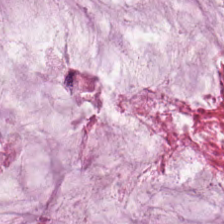Stain: hematoxylin-and-eosin stained section.
Tile size: 224×224 px patch.
Tissue: extracellular mucin.
